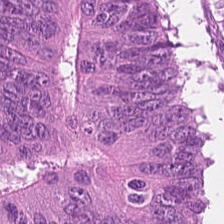Stain: H&E-stained tissue section.
Tissue: malignant epithelium.
